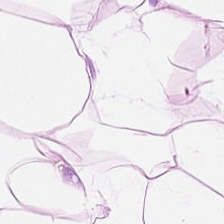Q: What does this patch show?
A: It is fat tissue.
